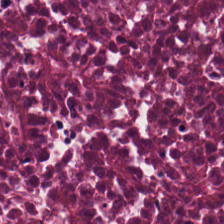0.5 microns per pixel · hematoxylin-and-eosin stained section · formalin-fixed paraffin-embedded section.
Histology → debris.
